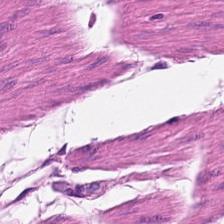Formalin-fixed paraffin-embedded section. Hematoxylin-and-eosin stained section.
Q: Classify this patch.
A: This is smooth-muscle tissue.
